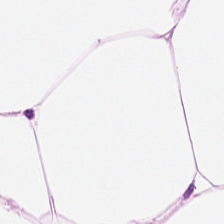Hematoxylin and eosin. 0.5 µm per pixel. Adipose.
